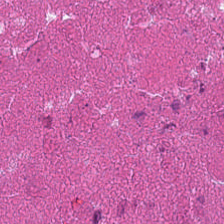224×224 pixel tile. 20× equivalent magnification. H&E. The classification is debris.
